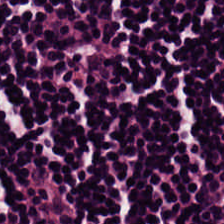H&E. Tissue: lymphocyte aggregate.
